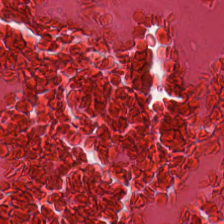Impression — debris.
